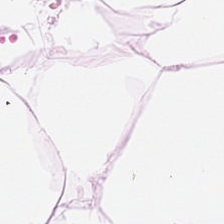Whole-slide-image patch. 0.5 µm per pixel. Hematoxylin-and-eosin stained section.
Predominant tissue — adipose.
